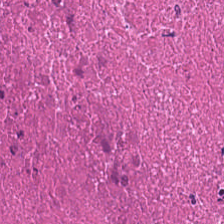H&E stain. This field is necrotic debris.
